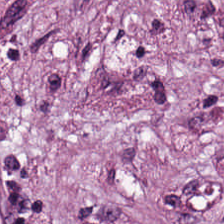H&E patch showing desmoplastic stroma.
